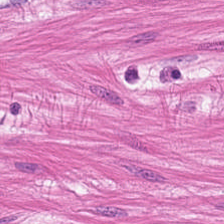H&E. Q: What tissue is shown?
A: This is smooth-muscle tissue.
